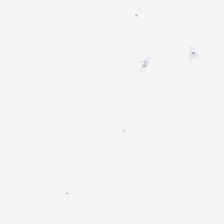This patch shows no tissue.
